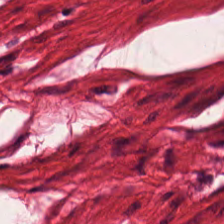Hematoxylin and eosin — Tissue class = smooth-muscle tissue.
